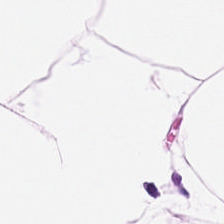Hematoxylin-and-eosin stained section.
This field is adipocytes.
